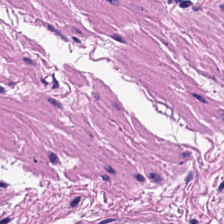H&E-stained tissue section. 0.5 µm per pixel.
Classification = smooth-muscle tissue.
